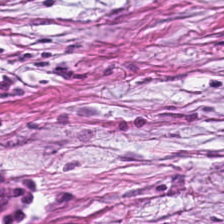H&E stain.
Predominant tissue: tumor stroma.
